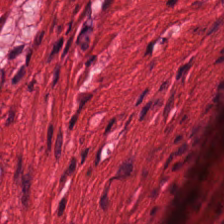Hematoxylin and eosin.
Finding — smooth-muscle tissue.
